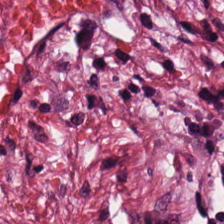Stain: hematoxylin and eosin.
Tile size: 224×224 px patch.
Acquisition: brightfield microscopy.
Classification: cancer-associated stroma.
